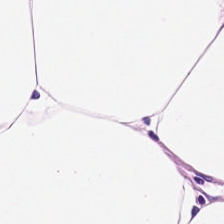Hematoxylin-and-eosin stained section · whole-slide-image patch. Tissue class = adipose.
